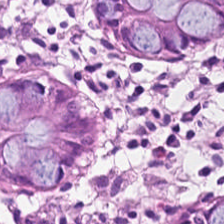H&E-stained tissue section — Predominant tissue: normal colon mucosa.
